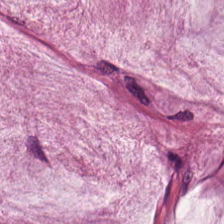Hematoxylin and eosin.
Showing extracellular mucin.
